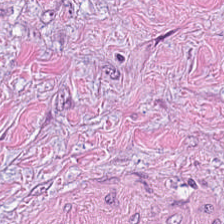H&E stain.
Tumor stroma.
